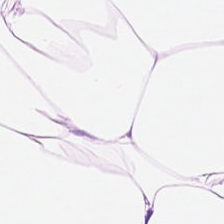224×224 pixel tile · hematoxylin and eosin. Finding → adipose.
